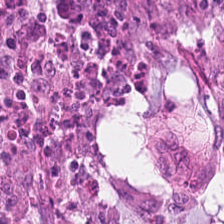Stain: H&E.
Acquisition: brightfield.
Preparation: FFPE.
Tissue: malignant epithelium.
